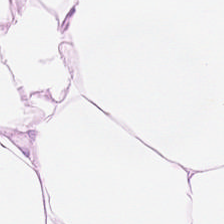Hematoxylin-and-eosin stained section.
Q: Identify the tissue.
A: The field shows adipocytes.
